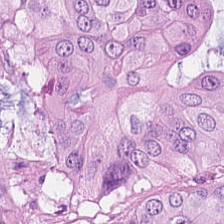H&E-stained tissue section showing malignant epithelium.
